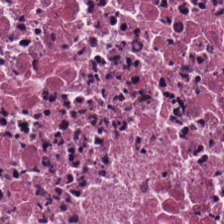Hematoxylin and eosin. Showing debris.
